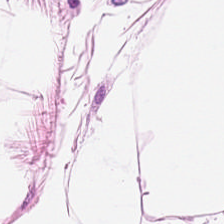FFPE tissue section. H&E.
{"tissue_type": "adipose tissue"}
